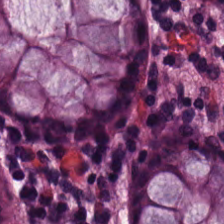Tissue class — normal colon mucosa.
